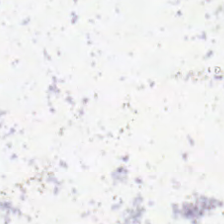224×224 px tile. H&E — Impression → empty background.
